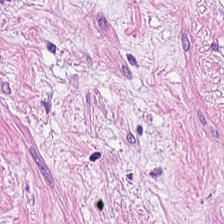Brightfield microscopy · H&E stain.
Desmoplastic stroma.
